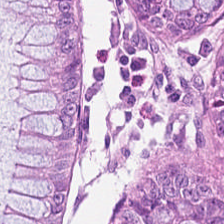H&E stain — Showing non-neoplastic colon mucosa.
